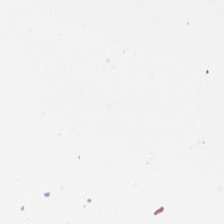Stain: H&E.
Classification: empty background.
